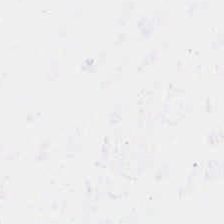FFPE; H&E stain; 0.5 µm per pixel.
Impression → no tissue.
